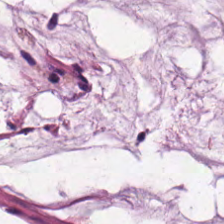Showing mucus.
